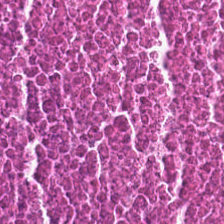Brightfield microscopy · 0.5 µm/px · hematoxylin and eosin.
Debris.
